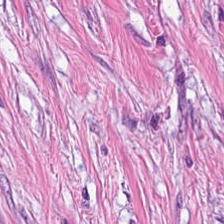Brightfield; FFPE tissue section; hematoxylin and eosin. Q: What type of tissue is this?
A: This is tumor-associated stroma.
